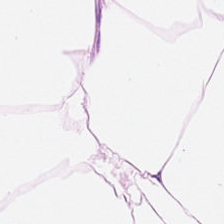Hematoxylin and eosin.
Q: What tissue is shown?
A: Fat tissue.
